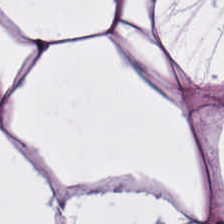Impression — adipose.
